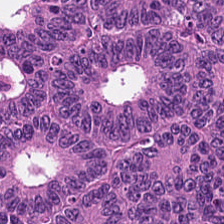Hematoxylin-and-eosin stained section; brightfield.
Classification = tumor epithelium.
